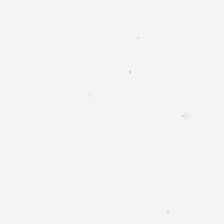H&E-stained tissue section. 224×224 px patch.
Background (no tissue).
